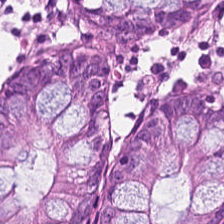Predominant tissue: normal colon mucosa.
